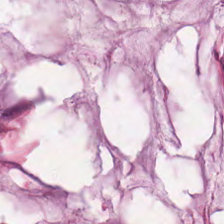Tissue: mucin.
